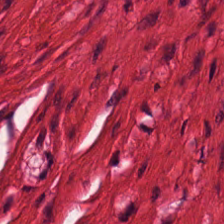H&E-stained tissue section. {"tissue_type": "muscularis"}
